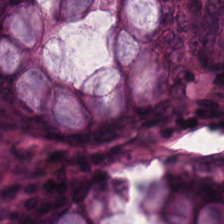Tissue class = non-neoplastic colon mucosa.
